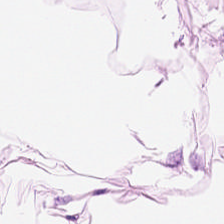H&E-stained tissue section — Tissue type — adipose.
